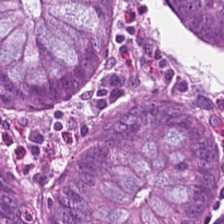H&E stain — The predominant tissue is normal colon mucosa.
